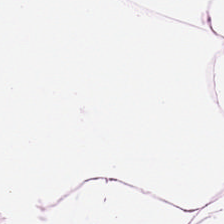WSI patch · H&E stain.
{"tissue_type": "adipose tissue"}
